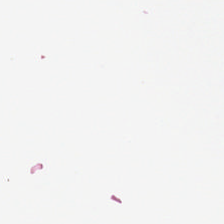Hematoxylin-and-eosin stained section.
No tissue present; background only.
